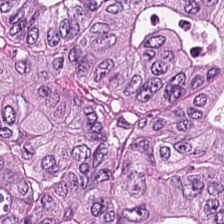H&E stain — This patch shows colorectal adenocarcinoma.
